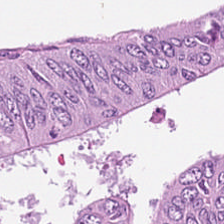H&E stain — Q: What is the predominant tissue type?
A: Adenocarcinoma.
